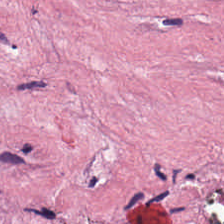Stain: H&E.
Tissue type: desmoplastic stroma.
